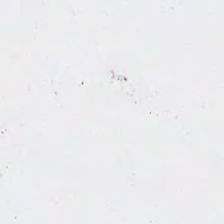224×224 px patch; H&E stain.
Impression — background.
